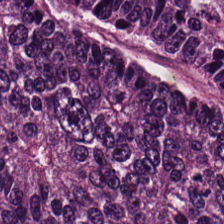The tissue type is tumor epithelium.
